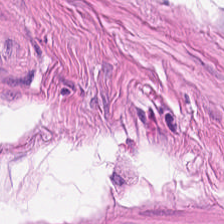224×224 px tile · H&E-stained tissue section · 0.5 microns per pixel — The tissue is smooth muscle.
